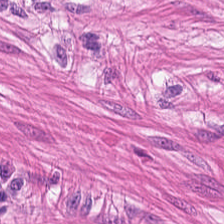Whole-slide-image patch; H&E-stained tissue section — Predominantly smooth muscle.
